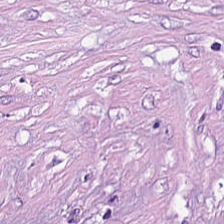Classification — cancer-associated stroma.
